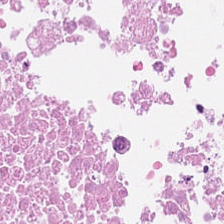0.5 µm/px; H&E. Predominant tissue — necrotic debris.
